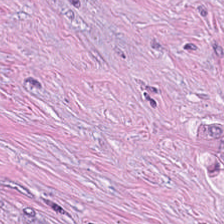Stain: H&E.
Predominant tissue: tumor-associated stroma.
